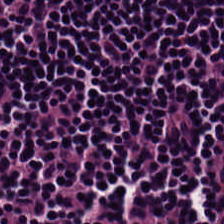Formalin-fixed paraffin-embedded section; 20× equivalent magnification; hematoxylin-and-eosin stained section — The tissue type is lymphocytic infiltrate.
